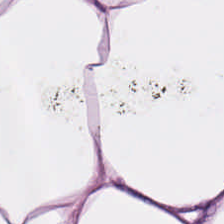H&E patch showing fat tissue.
